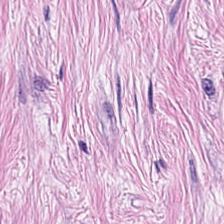0.5 µm per pixel. H&E-stained tissue section. The predominant tissue is desmoplastic stroma.
